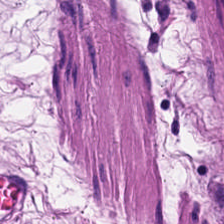224×224 px patch · FFPE tissue section · hematoxylin and eosin.
Showing smooth muscle.
